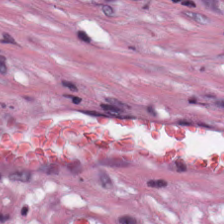H&E.
Tumor-associated stroma.
